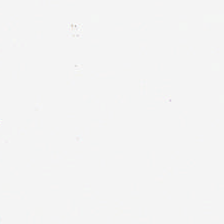Hematoxylin and eosin.
The content is background.
